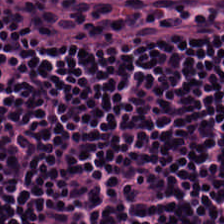Formalin-fixed paraffin-embedded section; hematoxylin and eosin — Histology — lymphoid infiltrate.
